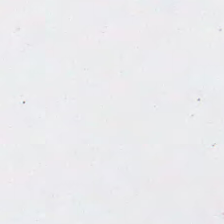Hematoxylin-and-eosin stained section; formalin-fixed paraffin-embedded section.
Q: What is shown in this field?
A: This is background (no tissue).
